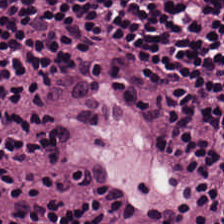Hematoxylin and eosin — {"tissue_type": "lymphocytic infiltrate"}
